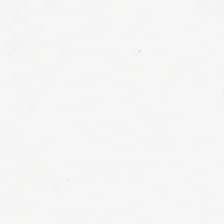Hematoxylin-and-eosin stained section. Q: Classify this patch.
A: The field shows background.
